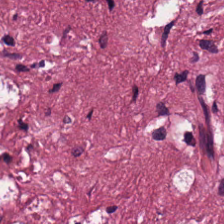H&E-stained tissue section. Formalin-fixed paraffin-embedded section.
Tumor-associated stroma.
